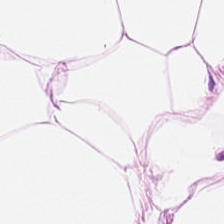H&E patch showing adipocytes.
